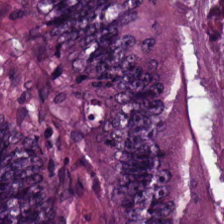H&E.
Classification — adenocarcinoma.
